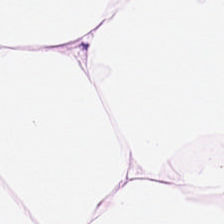H&E.
Tissue class: adipose tissue.
